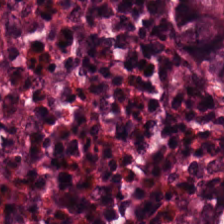Q: What tissue type is shown here?
A: This is normal colonic mucosa.
